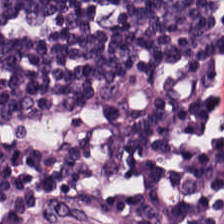The tissue class is lymphocytes.
